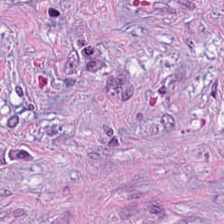224×224 px patch. FFPE. H&E. This field is desmoplastic stroma.
